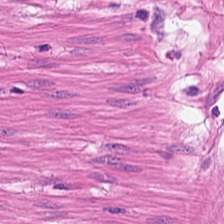Hematoxylin and eosin; FFPE tissue section. Tissue class = smooth muscle.
